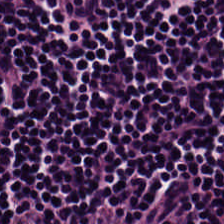H&E. Finding → lymphocytic infiltrate.
